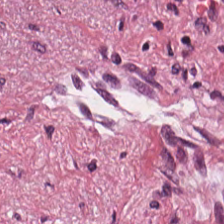Stain: hematoxylin-and-eosin stained section.
Resolution: 20× equivalent magnification.
Classification: cancer-associated stroma.
